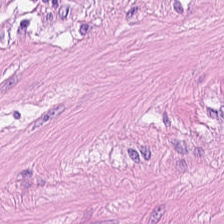Stain: H&E-stained tissue section.
Tissue type: smooth-muscle tissue.
